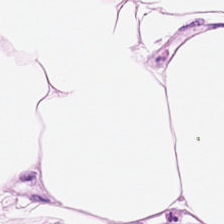Hematoxylin and eosin; 224×224 pixel tile; FFPE — Q: What tissue type is shown here?
A: Adipocytes.
